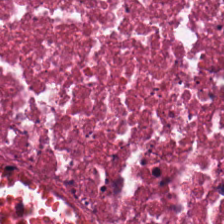Hematoxylin and eosin. Showing debris.
